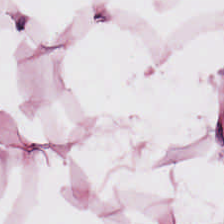H&E-stained tissue section. 0.5 microns per pixel. Brightfield — Classification — adipose.
